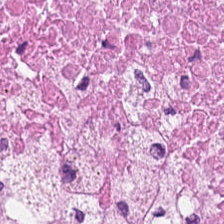H&E. 224×224 pixel tile. 0.5 µm per pixel.
Necrotic debris.
